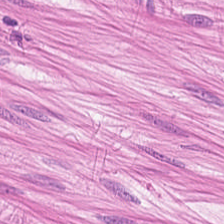Hematoxylin-and-eosin stained section. WSI patch. 0.5 µm per pixel.
Finding — muscularis.
